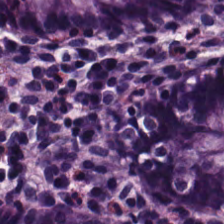H&E-stained tissue section.
Tissue type — benign colonic mucosa.
